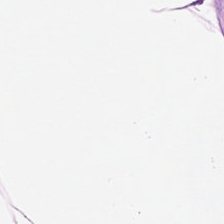The predominant tissue is fat tissue.
